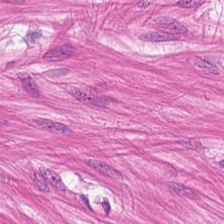H&E-stained tissue section; 224×224 px tile.
The classification is smooth muscle.
